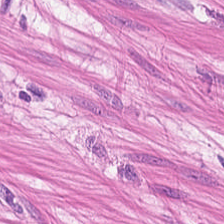Hematoxylin-and-eosin stained section. Formalin-fixed paraffin-embedded section — This field is smooth muscle.
